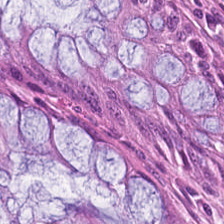FFPE tissue section; 20× equivalent magnification; hematoxylin and eosin. This field is non-neoplastic colon mucosa.
